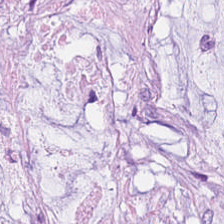H&E · 224×224 px patch — The predominant tissue is mucus.
